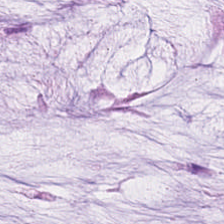Classification — extracellular mucin.
